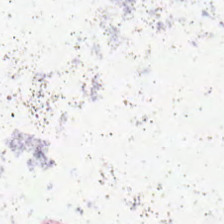Content — background (no tissue).
